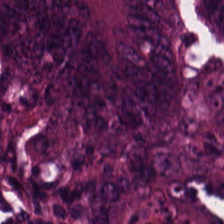{"tissue_type": "colorectal adenocarcinoma epithelium"}
